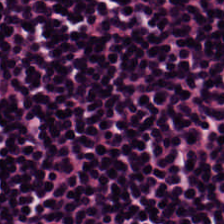Predominantly lymphoid infiltrate.
